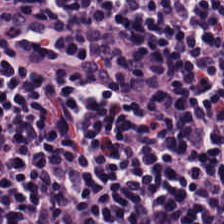WSI patch; H&E — {"tissue_type": "lymphocytes"}
